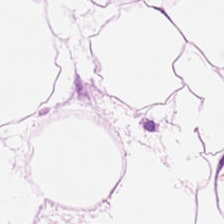H&E stain. Histology → fat tissue.
